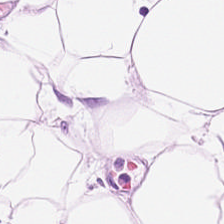The tissue is fat tissue.
